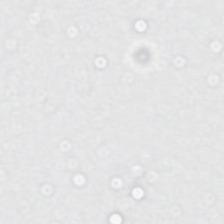H&E-stained tissue section — Finding → background (no tissue).
